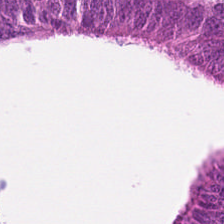0.5 µm/px. Brightfield microscopy. Hematoxylin and eosin.
This patch shows tumor epithelium.
